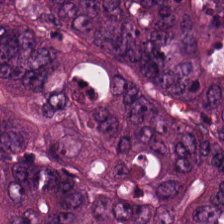Brightfield · hematoxylin and eosin. Classification: adenocarcinoma.
